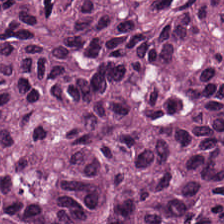Brightfield. Hematoxylin-and-eosin stained section. 0.5 µm/px.
Q: Identify the tissue.
A: Adenocarcinoma.
